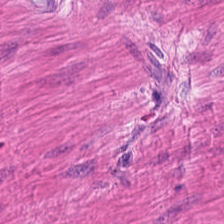H&E stain. Whole-slide-image patch. FFPE. This patch shows smooth-muscle tissue.
